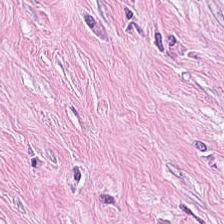Stain: H&E stain.
Acquisition: brightfield microscopy.
Tissue type: desmoplastic stroma.
